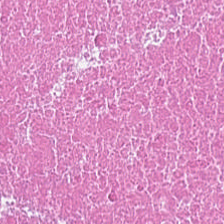H&E; 224×224 pixel tile; WSI patch. The tissue is cellular debris.
